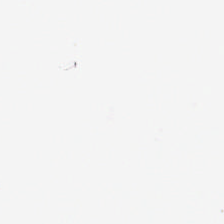Stain: H&E.
Tile size: 224×224 pixel tile.
Preparation: formalin-fixed paraffin-embedded section.
Classification: empty background.
